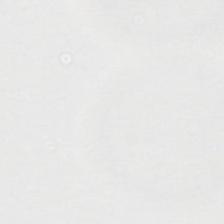Brightfield microscopy. H&E. 224×224 px patch. No tissue.
